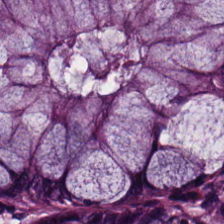H&E stain; formalin-fixed paraffin-embedded section.
The tissue here is normal colonic mucosa.
